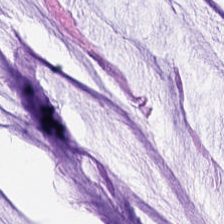Whole-slide-image patch. H&E. 0.5 microns per pixel — Finding → extracellular mucin.
